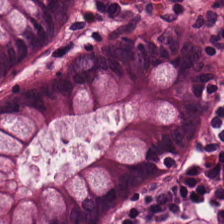Hematoxylin and eosin.
Tissue type = non-neoplastic colon mucosa.
